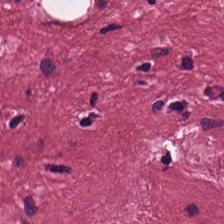Q: What tissue type is shown here?
A: Tumor-associated stroma.
